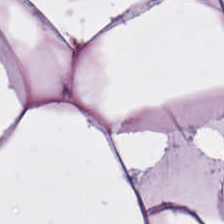H&E stain.
The tissue here is adipose.
